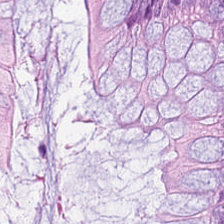0.5 µm per pixel. WSI patch. Hematoxylin-and-eosin stained section — Showing non-neoplastic colon mucosa.
